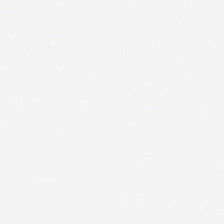H&E-stained tissue section.
Background — no tissue in this field.
